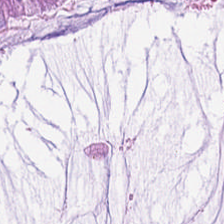H&E — mucus.
